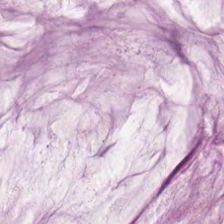Hematoxylin-and-eosin stained section — The tissue here is mucus.
